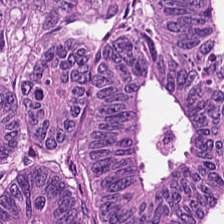224×224 px patch. H&E stain. Brightfield — The predominant tissue is adenocarcinoma.
